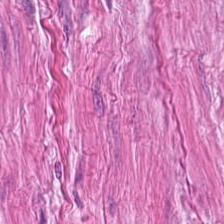H&E. Q: What tissue is shown?
A: Muscularis.
